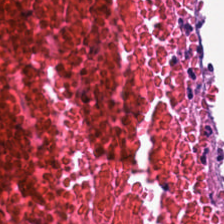Tissue type — debris.
